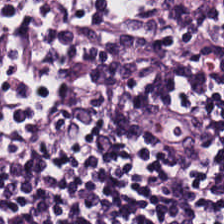{"tissue_type": "lymphocyte aggregate"}
